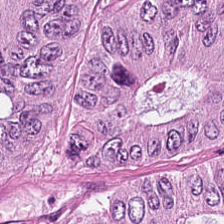Tissue type — malignant epithelium.
